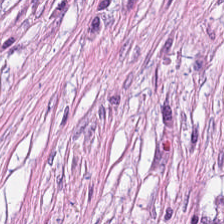Brightfield microscopy; FFPE; hematoxylin-and-eosin stained section — Predominant tissue = cancer-associated stroma.
